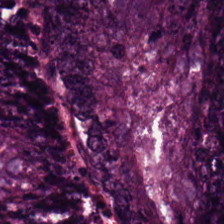H&E stain. Classification = tumor epithelium.
